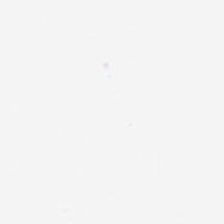H&E.
Q: What does this patch show?
A: Background (no tissue).
